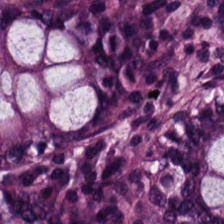H&E-stained tissue section · 224×224 px patch · brightfield. Benign colonic mucosa.
